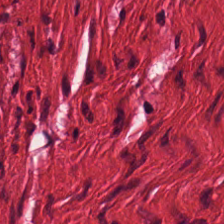Formalin-fixed paraffin-embedded section · hematoxylin-and-eosin stained section. Q: What is shown here?
A: This is muscularis.
